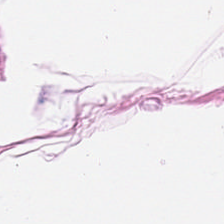H&E. Tissue: adipocytes.
